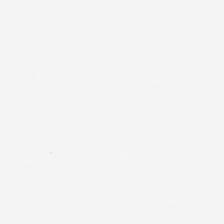Brightfield microscopy · H&E.
Background.
